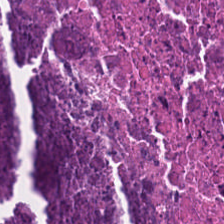Classification = necrotic debris.
